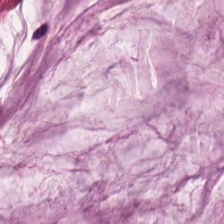Stain: hematoxylin and eosin.
Predominant tissue: mucin.
